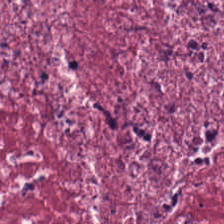Hematoxylin and eosin — Histology → tumor-associated stroma.
